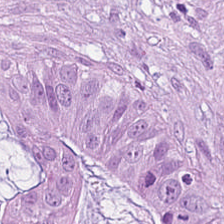Stain: hematoxylin and eosin.
Predominant tissue: adenocarcinoma.
